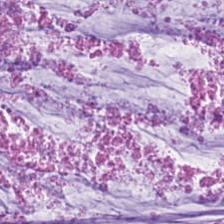Hematoxylin-and-eosin stained section · FFPE · 224×224 px patch. Tissue = extracellular mucin.
